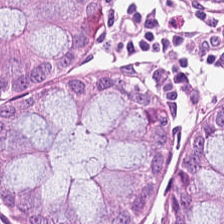H&E stain.
This field is non-neoplastic colon mucosa.
